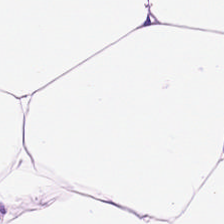H&E — adipocytes.
